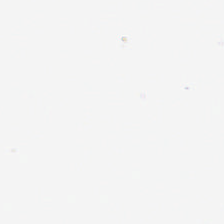Q: Classify this patch.
A: It is empty background.
